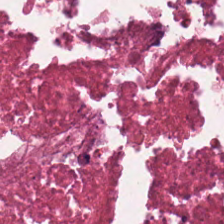Hematoxylin and eosin. The predominant tissue is cellular debris.
